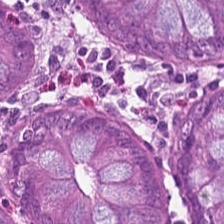Stain: H&E-stained tissue section.
Classification: benign colonic mucosa.
